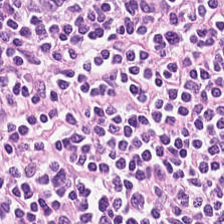Q: Classify this patch.
A: Lymphocytes.
